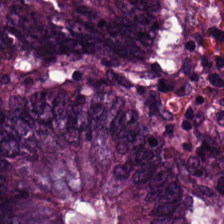Hematoxylin-and-eosin stained section.
The tissue here is tumor epithelium.
